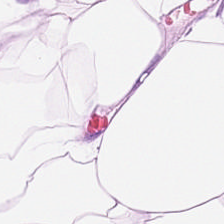H&E-stained section; the field shows adipocytes.
